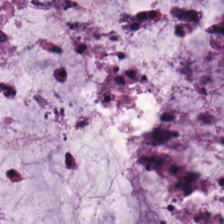H&E-stained tissue section.
The predominant tissue is mucus.
